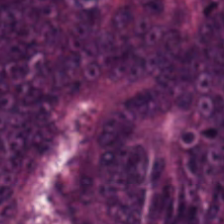Hematoxylin and eosin. Q: What tissue is shown?
A: The field shows tumor epithelium.
